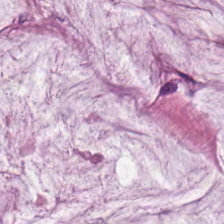0.5 µm/px. H&E-stained tissue section. Brightfield microscopy. The predominant tissue is extracellular mucin.
